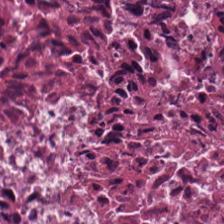Stain: H&E-stained tissue section.
Tissue class: debris.
